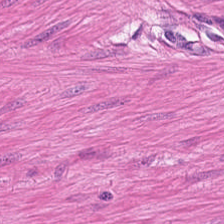0.5 µm per pixel. 224×224 px patch. H&E. Impression — smooth muscle.
